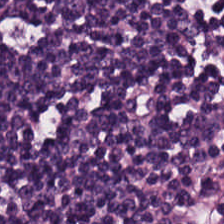Hematoxylin-and-eosin stained section. Classification = lymphocytic infiltrate.
